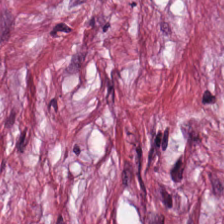H&E.
This field is desmoplastic stroma.
